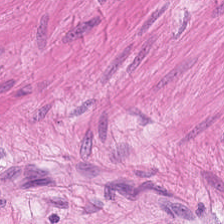Predominant tissue — smooth-muscle tissue.
